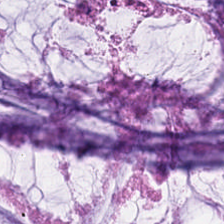The tissue here is mucin.
